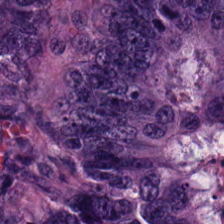Stain: hematoxylin and eosin.
Classification: colorectal adenocarcinoma epithelium.
